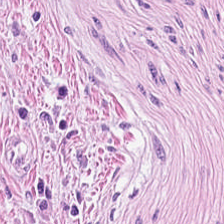This field is tumor stroma.
